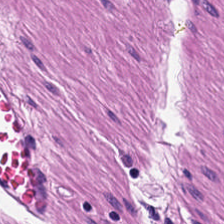Brightfield microscopy · hematoxylin and eosin — Impression — smooth muscle.
